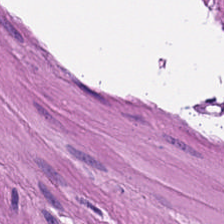H&E-stained tissue section.
Tissue type — muscularis.
